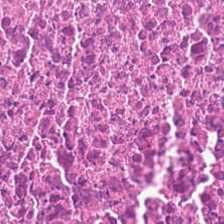0.5 µm/px. FFPE. H&E. The tissue here is debris.
